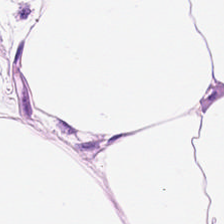Classification: adipocytes.
